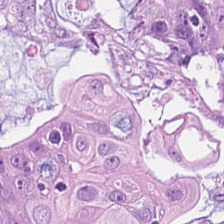0.5 microns per pixel. Brightfield. H&E stain — This patch shows mucin.
